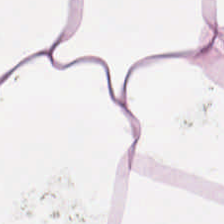0.5 microns per pixel. Hematoxylin and eosin.
Predominantly fat tissue.
